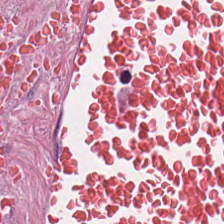Hematoxylin-and-eosin stained section. The tissue here is desmoplastic stroma.
